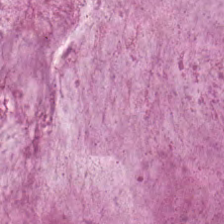H&E-stained tissue section. Formalin-fixed paraffin-embedded section. 20× equivalent magnification. Mucin.
